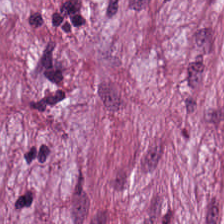0.5 µm/px. H&E stain. Brightfield. The tissue type is cancer-associated stroma.
